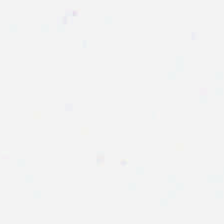H&E stain — Q: What is shown here?
A: The field shows background.
